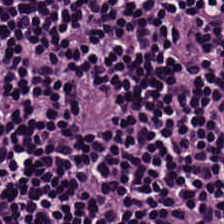H&E-stained tissue section; brightfield.
Q: Identify the tissue.
A: The field shows lymphocytes.
